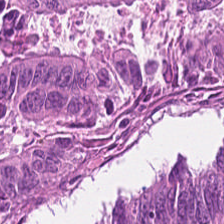FFPE tissue section · hematoxylin-and-eosin stained section.
Tumor epithelium.
